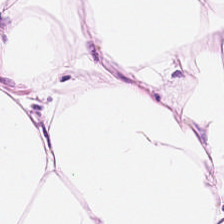Q: Classify this patch.
A: It is adipocytes.
